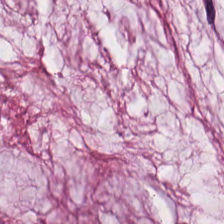H&E-stained section; the field shows mucin.
